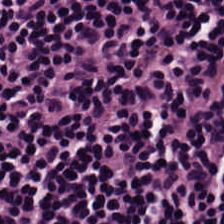Hematoxylin-and-eosin stained section. Q: What is shown here?
A: The field shows lymphocyte aggregate.
